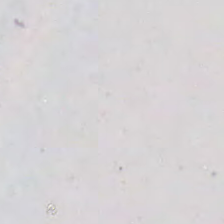H&E stain.
Content: empty background.
